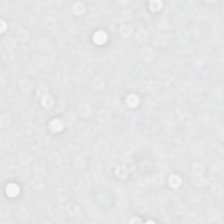Formalin-fixed paraffin-embedded section. Hematoxylin and eosin — Q: What is shown here?
A: Background.
